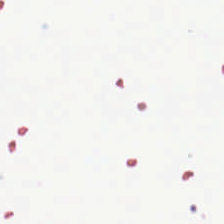H&E-stained tissue section; 224×224 pixel tile; FFPE — Content — background.
